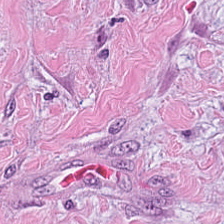H&E-stained tissue section. Q: Identify the tissue.
A: This is cancer-associated stroma.
